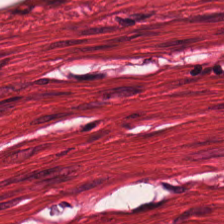H&E. {"tissue_type": "smooth-muscle tissue"}
